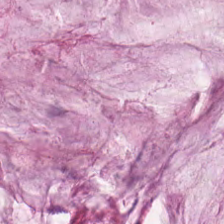H&E — Tissue type: extracellular mucin.
